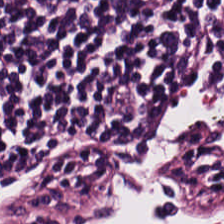H&E-stained tissue section — The predominant tissue is lymphoid infiltrate.
